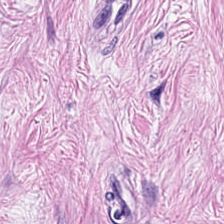Whole-slide-image patch · H&E-stained tissue section.
Tissue type — desmoplastic stroma.
